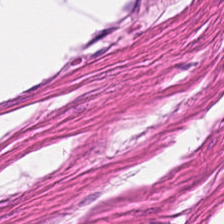H&E stain.
Smooth-muscle tissue.
